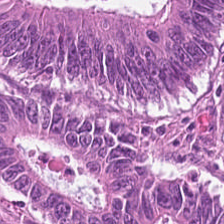FFPE tissue section. Hematoxylin and eosin. This patch shows malignant epithelium.
